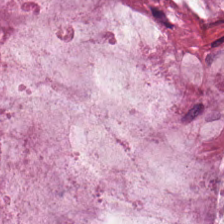H&E stain. Showing extracellular mucin.
